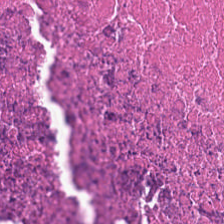Q: What is shown here?
A: This is cellular debris.
